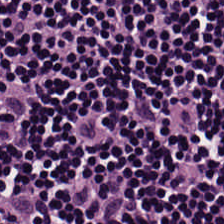Hematoxylin and eosin. Showing lymphocytes.
